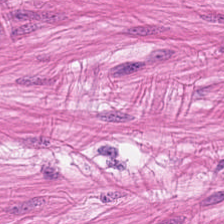FFPE tissue section. Hematoxylin and eosin.
The predominant tissue is muscularis.
